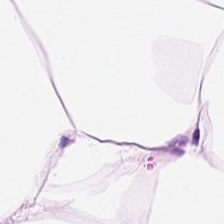Hematoxylin and eosin. 224×224 px patch.
Finding → adipose.
